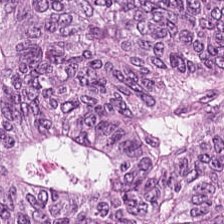224×224 px tile; H&E; 0.5 µm/px — Finding → colorectal adenocarcinoma.
